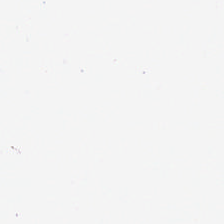224×224 pixel tile; FFPE; H&E-stained tissue section. Classification = no tissue.
